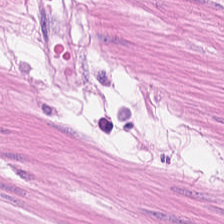Whole-slide-image patch · formalin-fixed paraffin-embedded section · H&E stain. Q: What is shown in this field?
A: The field shows muscularis.
